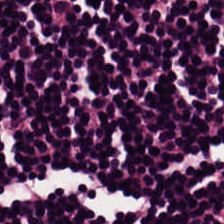Tissue class: lymphocyte aggregate.
